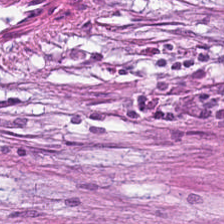{"tissue_type": "cancer-associated stroma"}
